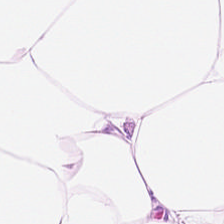H&E-stained tissue section — This field is adipose tissue.
